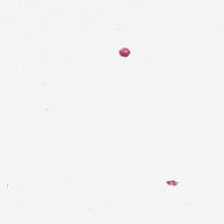Histology — no tissue.
